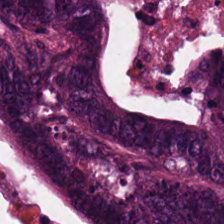224×224 pixel tile · hematoxylin-and-eosin stained section. This patch shows malignant epithelium.
